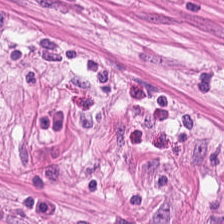H&E stain. 224×224 px patch — Classification = muscularis.
